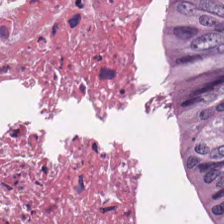Brightfield. H&E-stained tissue section. Cellular debris.
